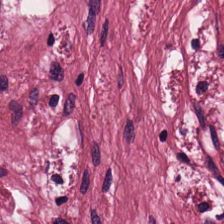The tissue class is tumor-associated stroma.
